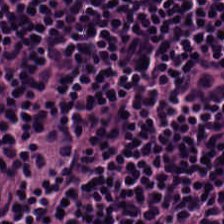WSI patch · H&E-stained tissue section · 0.5 microns per pixel.
The predominant tissue is lymphocyte aggregate.
